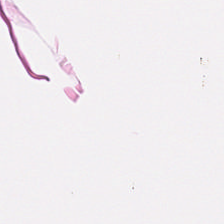Hematoxylin and eosin. 0.5 µm/px. Predominant tissue = smooth muscle.
